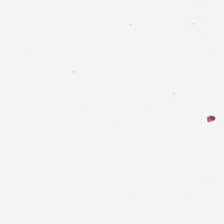This patch shows no tissue.
